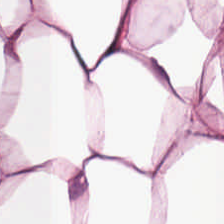H&E stain.
Impression → adipose tissue.
